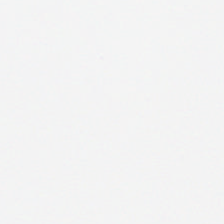Background — no tissue in this field.
